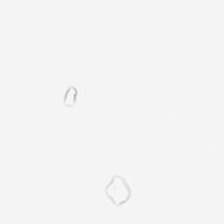{"content": "background (no tissue)"}
